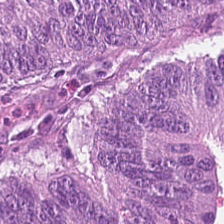H&E — colorectal adenocarcinoma epithelium.
